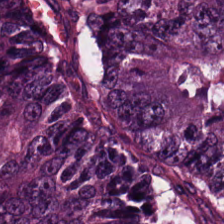Hematoxylin and eosin.
Impression — colorectal adenocarcinoma.
